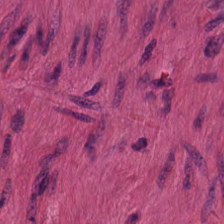Hematoxylin and eosin; 20× equivalent magnification.
Predominant tissue: smooth muscle.
